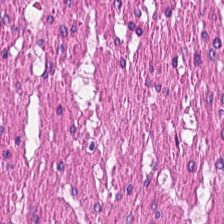Whole-slide-image patch · H&E. Predominantly smooth-muscle tissue.
